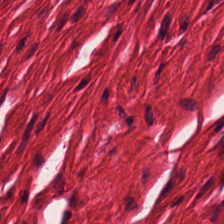H&E stain. Classification — smooth muscle.
